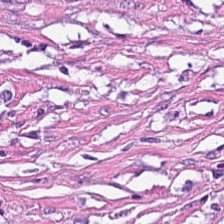H&E-stained tissue section.
The predominant tissue is cancer-associated stroma.
